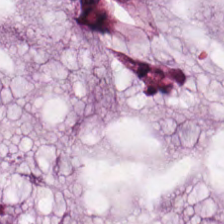Stain: H&E-stained tissue section.
Acquisition: brightfield microscopy.
Tile size: 224×224 px patch.
Tissue type: mucin.
